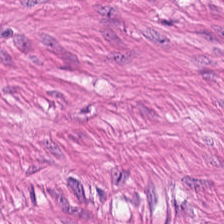H&E stain — {"tissue_type": "muscularis"}
